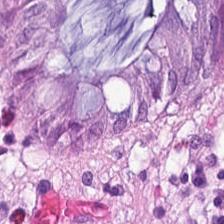Hematoxylin and eosin · FFPE — Predominantly non-neoplastic colon mucosa.
